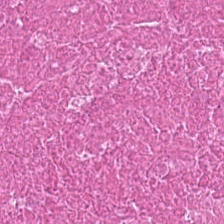224×224 px tile · hematoxylin-and-eosin stained section. Q: What tissue is shown?
A: The field shows debris.
